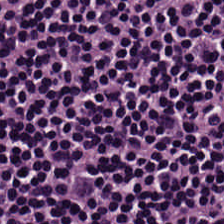224×224 pixel tile; FFPE; H&E-stained tissue section — Lymphocyte aggregate.
